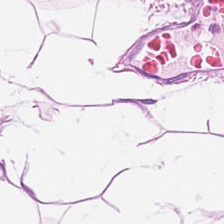H&E stain.
Adipose.
